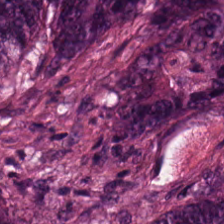Hematoxylin and eosin; 0.5 µm/px.
The classification is malignant epithelium.
